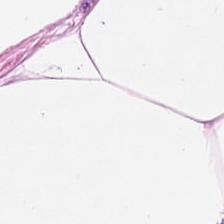H&E-stained tissue section · formalin-fixed paraffin-embedded section — The classification is adipose.
